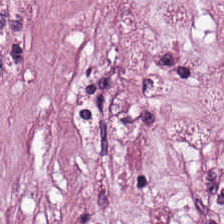Stain: H&E-stained tissue section.
Tissue class: cancer-associated stroma.
